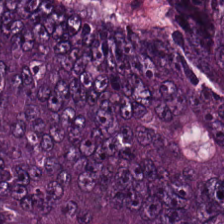H&E stain.
Tissue class = colorectal adenocarcinoma.
